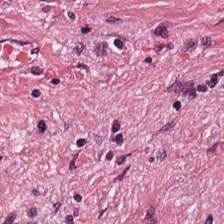20× equivalent magnification; hematoxylin and eosin. The tissue type is tumor stroma.
